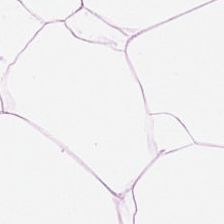Classification — adipocytes.
